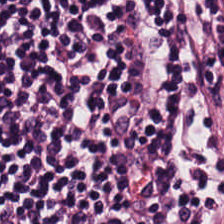H&E. FFPE tissue section. Brightfield microscopy. {"tissue_type": "lymphocyte aggregate"}
